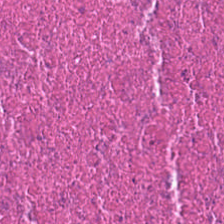The tissue here is cellular debris.
